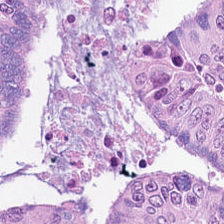Hematoxylin-and-eosin stained section · brightfield microscopy — The tissue type is colorectal adenocarcinoma epithelium.
